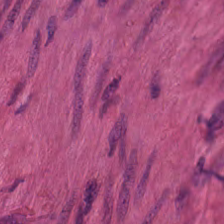Hematoxylin-and-eosin section: smooth muscle.
